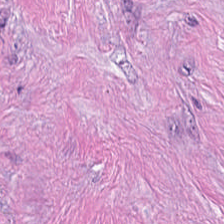Hematoxylin and eosin.
Q: What is shown here?
A: The field shows desmoplastic stroma.
